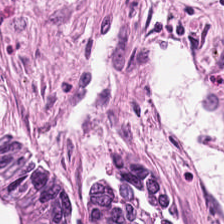H&E — This patch shows malignant epithelium.
